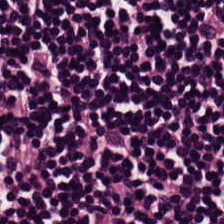Stain: H&E stain.
Resolution: 0.5 µm per pixel.
Acquisition: whole-slide-image patch.
Tissue: lymphoid infiltrate.
